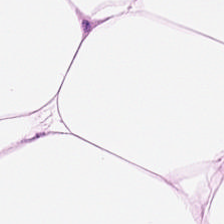Brightfield. H&E stain. Q: What does this patch show?
A: The field shows fat tissue.
